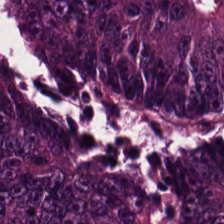Hematoxylin-and-eosin stained section — Tissue = tumor epithelium.
